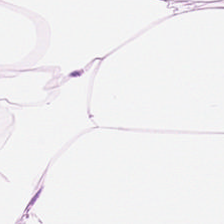H&E-stained tissue section · FFPE tissue section · 20× equivalent magnification. Q: Classify this patch.
A: The field shows adipose.
